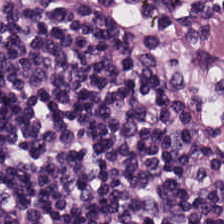H&E. Q: What is shown in this field?
A: It is lymphocyte aggregate.
